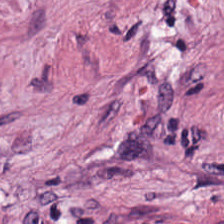H&E · brightfield microscopy — Tissue class — tumor-associated stroma.
